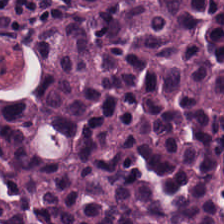Stain: H&E-stained tissue section.
Predominant tissue: lymphocytic infiltrate.
